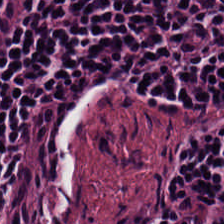H&E stain · whole-slide-image patch. This patch shows lymphocytes.
